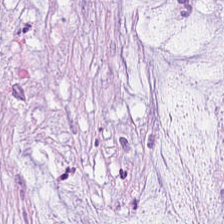H&E patch showing mucin.
